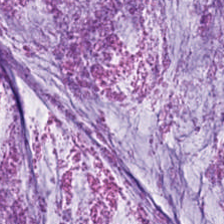Hematoxylin and eosin — Predominant tissue: extracellular mucin.
